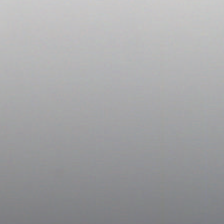Hematoxylin-and-eosin stained section; brightfield. {"content": "background (no tissue)"}
